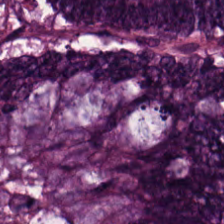H&E-stained tissue section · brightfield · FFPE tissue section. This field is colorectal adenocarcinoma.
